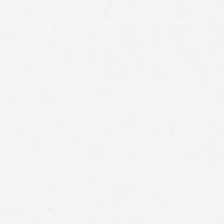H&E.
Empty field — background.
